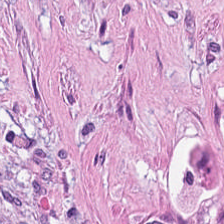Tissue — cancer-associated stroma.
